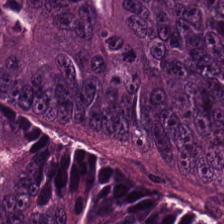Impression — malignant epithelium.
